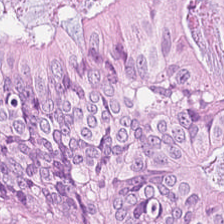Hematoxylin-and-eosin stained section — Showing adenocarcinoma.
